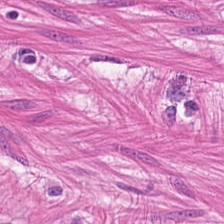Hematoxylin-and-eosin section: smooth muscle.
